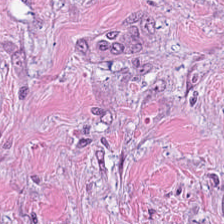Predominantly cancer-associated stroma.
